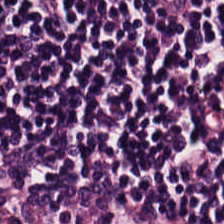Hematoxylin-and-eosin stained section — The predominant tissue is lymphocytes.
